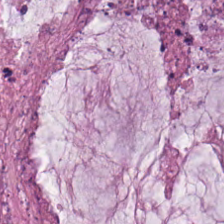Hematoxylin and eosin; FFPE. {"tissue_type": "extracellular mucin"}
